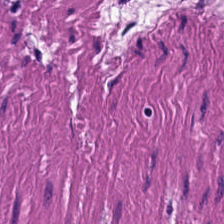Hematoxylin-and-eosin section: muscularis.
